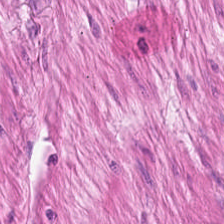H&E. Q: Classify this patch.
A: Smooth-muscle tissue.
